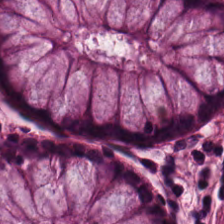H&E stain — This field is benign colonic mucosa.
